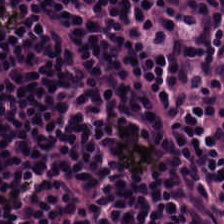Predominantly lymphocytes.
